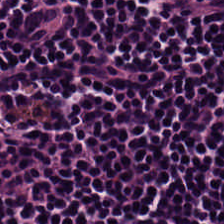Predominant tissue: lymphocyte aggregate.
